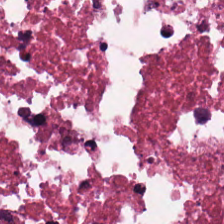H&E stain; whole-slide-image patch — The tissue here is debris.
